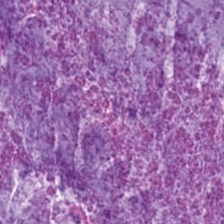H&E patch showing mucus.
